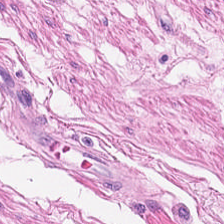Hematoxylin-and-eosin stained section — Classification: smooth-muscle tissue.
